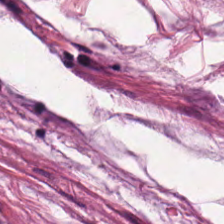H&E stain.
This field is extracellular mucin.
